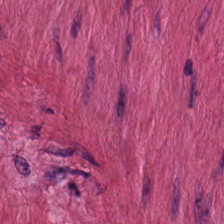Hematoxylin and eosin — The tissue here is smooth muscle.
